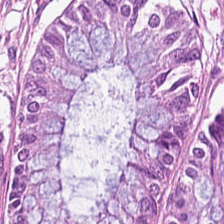Hematoxylin-and-eosin stained section · FFPE.
Q: What tissue is shown?
A: It is normal colon mucosa.
